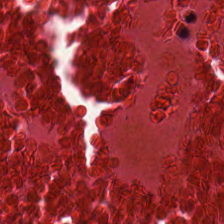Stain: hematoxylin-and-eosin stained section.
Acquisition: brightfield microscopy.
Resolution: 0.5 µm per pixel.
Tissue class: cellular debris.
